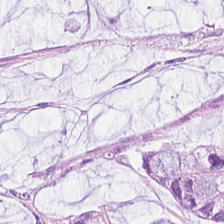Hematoxylin and eosin.
Predominant tissue: mucus.
